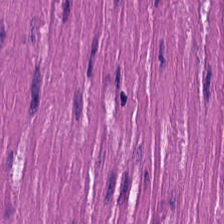Hematoxylin-and-eosin stained section. Tissue — muscularis.
